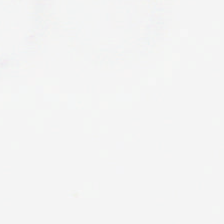Stain: H&E.
Field content: background (no tissue).
